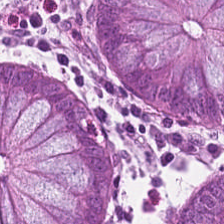H&E-stained section; the field shows non-neoplastic colon mucosa.
